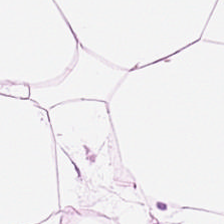Classification = adipocytes.
